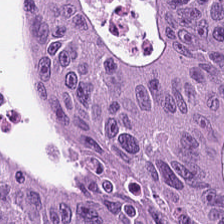H&E.
The predominant tissue is tumor epithelium.
